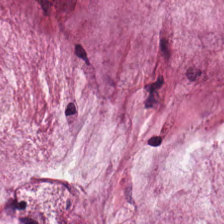0.5 µm per pixel. H&E. 224×224 pixel tile.
Tissue = extracellular mucin.
